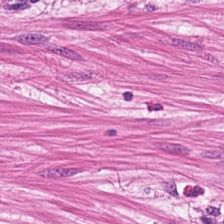The classification is smooth-muscle tissue.
